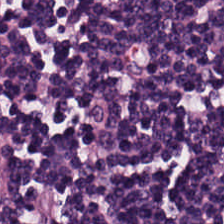Hematoxylin and eosin. Lymphocyte aggregate.
